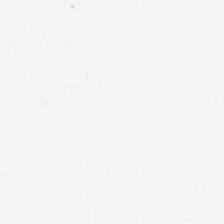Hematoxylin-and-eosin stained section — {"content": "empty background"}
